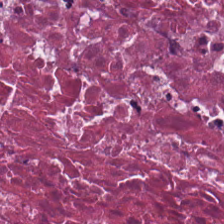224×224 pixel tile; hematoxylin-and-eosin stained section — Q: Identify the tissue.
A: Necrotic debris.
